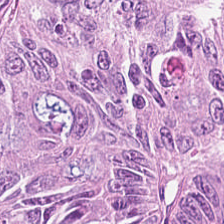Hematoxylin-and-eosin stained section; 224×224 px patch — Showing adenocarcinoma.
